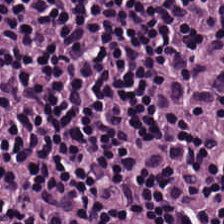224×224 pixel tile; 0.5 µm/px; H&E stain — The predominant tissue is lymphocytic infiltrate.
